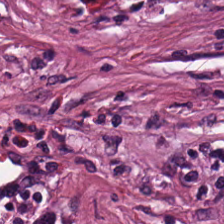Stain: H&E.
Predominant tissue: desmoplastic stroma.
